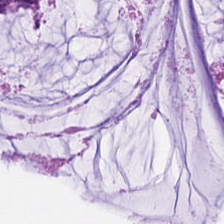H&E stain. WSI patch. 0.5 microns per pixel — Showing mucus.
